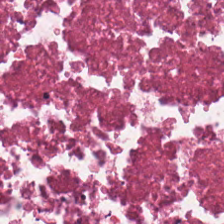Stain: H&E stain.
Tissue class: cellular debris.
